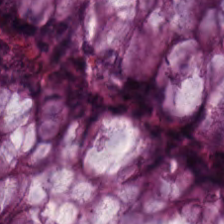H&E. This field is non-neoplastic colon mucosa.
